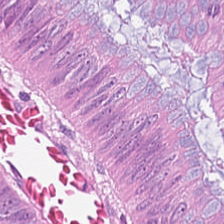Tissue type = tumor epithelium.
